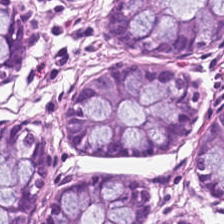Impression → normal colon mucosa.
